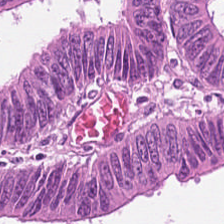WSI patch. H&E.
Finding — tumor epithelium.
